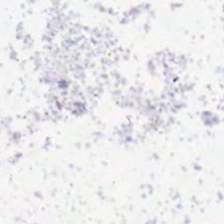Hematoxylin-and-eosin stained section. Q: What is shown in this field?
A: This is background (no tissue).
